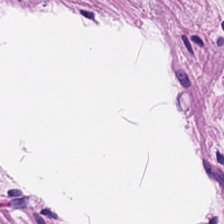224×224 px tile · hematoxylin-and-eosin stained section · FFPE. Q: What tissue is shown?
A: It is smooth muscle.
